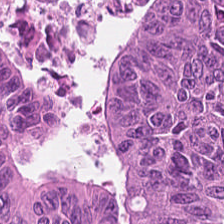Hematoxylin and eosin.
The predominant tissue is tumor epithelium.
